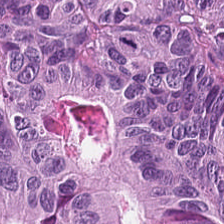H&E-stained tissue section — Finding → colorectal adenocarcinoma epithelium.
